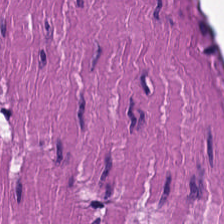Stain: H&E stain.
Resolution: 20× equivalent magnification.
Preparation: FFPE.
Tissue class: smooth-muscle tissue.
